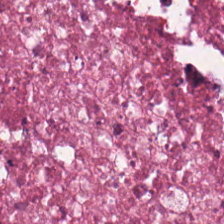Q: Classify this patch.
A: Necrotic debris.
